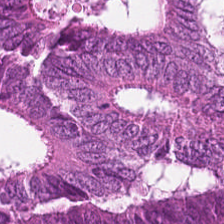FFPE; H&E stain. Showing malignant epithelium.
